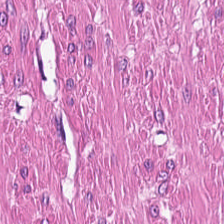H&E. Formalin-fixed paraffin-embedded section.
Muscularis.
